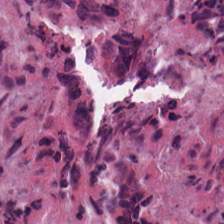Hematoxylin-and-eosin stained section. 224×224 pixel tile. 0.5 µm per pixel. {"tissue_type": "debris"}
